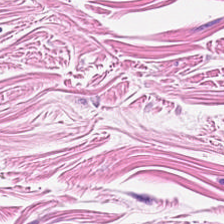Stain: H&E.
Tissue class: smooth-muscle tissue.
